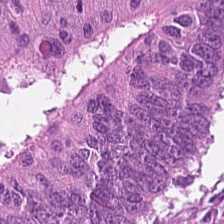Stain: H&E-stained tissue section.
Acquisition: brightfield.
Predominant tissue: tumor epithelium.
